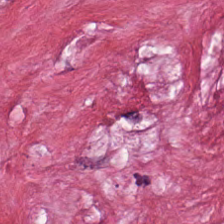Hematoxylin-and-eosin stained section. Tissue = desmoplastic stroma.
